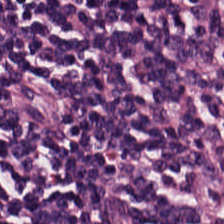H&E-stained tissue section showing lymphocyte aggregate.
